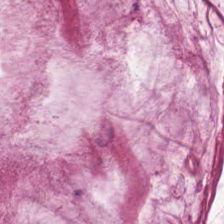Hematoxylin-and-eosin stained section. 224×224 pixel tile. The classification is extracellular mucin.
